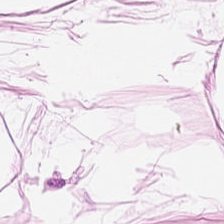H&E-stained tissue section.
This field is adipose.
